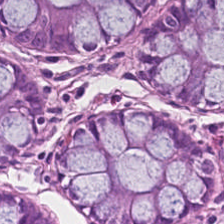Q: What is the predominant tissue type?
A: It is normal colon mucosa.
